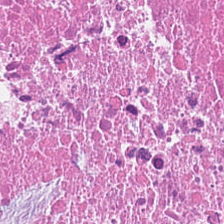0.5 µm per pixel. H&E. Tissue class: debris.
